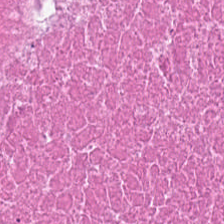Stain: H&E-stained tissue section.
Tissue class: cellular debris.
